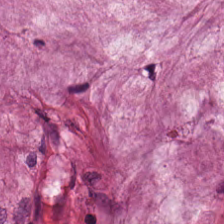Hematoxylin-and-eosin stained section.
Showing extracellular mucin.
